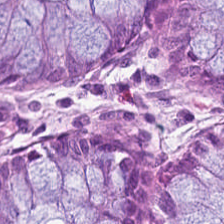{"tissue_type": "normal colon mucosa"}
